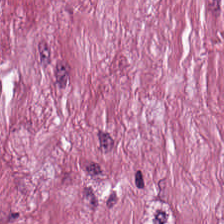224×224 pixel tile; H&E; 0.5 µm per pixel. Finding — desmoplastic stroma.
